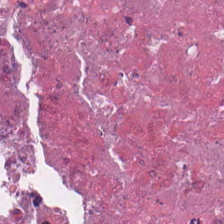Histology → cellular debris.
